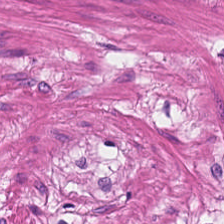Stain: hematoxylin and eosin.
Resolution: 20× equivalent magnification.
Predominant tissue: smooth-muscle tissue.
